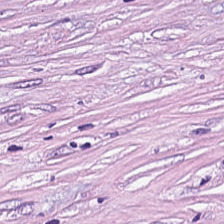Tissue type: cancer-associated stroma.
